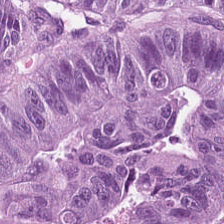H&E. The tissue here is adenocarcinoma.
